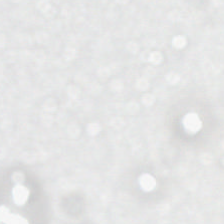Hematoxylin and eosin. Finding — background (no tissue).
